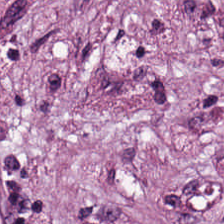Hematoxylin-and-eosin stained section — Desmoplastic stroma.
